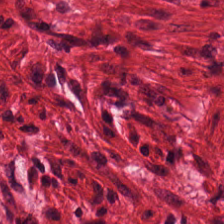H&E — The classification is smooth-muscle tissue.
